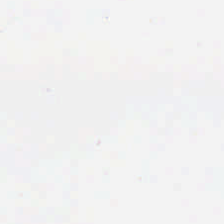H&E stain.
Q: What does this patch show?
A: It is no tissue.
